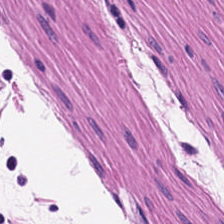H&E.
Predominant tissue — muscularis.
